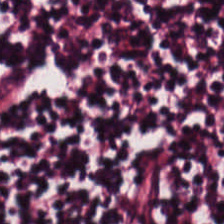Whole-slide-image patch. H&E-stained tissue section. Q: What type of tissue is this?
A: The field shows lymphocytic infiltrate.
